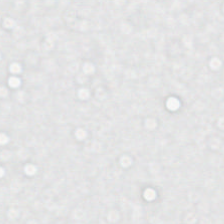Hematoxylin-and-eosin stained section; WSI patch — Background.
